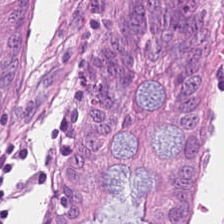224×224 px patch · H&E stain.
The predominant tissue is benign colonic mucosa.
